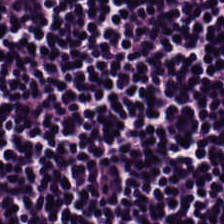Formalin-fixed paraffin-embedded section; hematoxylin-and-eosin stained section — Predominant tissue = lymphocytic infiltrate.
